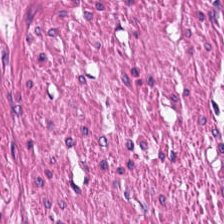Hematoxylin and eosin — This patch shows smooth-muscle tissue.
